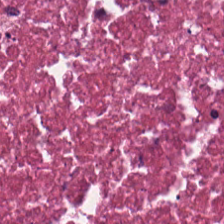Stain: hematoxylin and eosin.
Predominant tissue: cellular debris.
